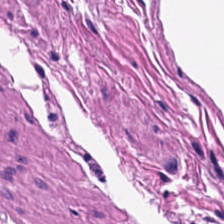224×224 pixel tile · hematoxylin and eosin · FFPE tissue section.
The tissue here is muscularis.
